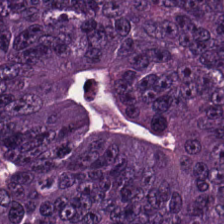Stain: hematoxylin and eosin.
Resolution: 0.5 µm/px.
Tissue class: colorectal adenocarcinoma epithelium.
